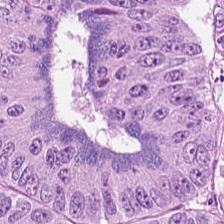H&E-stained tissue section.
The tissue here is colorectal adenocarcinoma.
